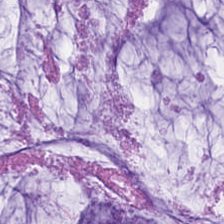H&E patch showing extracellular mucin.
